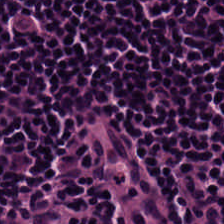Stain: H&E-stained tissue section.
Acquisition: brightfield microscopy.
Tile size: 224×224 px tile.
Tissue: lymphoid infiltrate.
